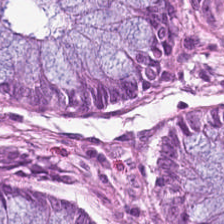H&E-stained tissue section. Classification = benign colonic mucosa.
